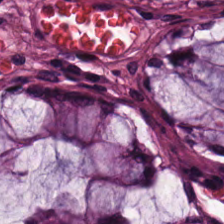Predominantly normal colon mucosa.
